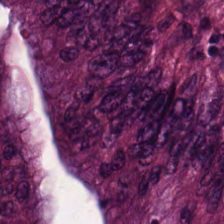H&E. Tissue: tumor epithelium.
